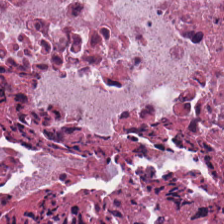Hematoxylin and eosin — This field is debris.
